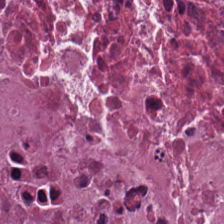Q: What tissue type is shown here?
A: Necrotic debris.
